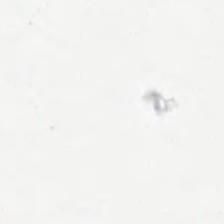The classification is background.
